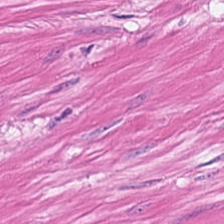Hematoxylin and eosin · FFPE. Q: What type of tissue is this?
A: This is muscularis.
